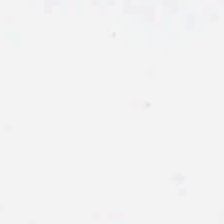0.5 microns per pixel · H&E stain — The field content is background.
